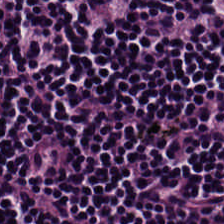H&E-stained tissue section — Histology — lymphocytes.
